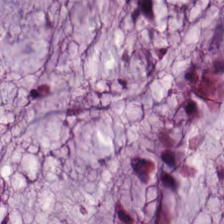224×224 px patch; H&E stain — Tissue class: mucus.
